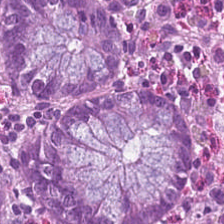Hematoxylin-and-eosin stained section — Tissue class = normal colonic mucosa.
